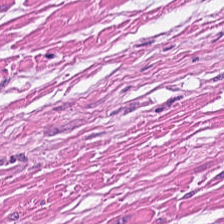Hematoxylin-and-eosin stained section.
This field is smooth-muscle tissue.
